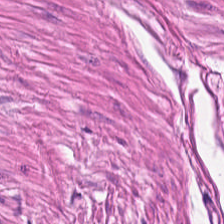WSI patch · FFPE · H&E. Tissue type — smooth muscle.
